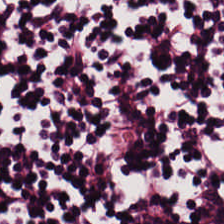224×224 px tile · hematoxylin-and-eosin stained section · 0.5 microns per pixel.
This field is lymphocyte aggregate.
